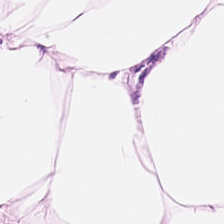H&E. Showing adipose.
